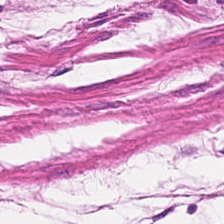H&E-stained tissue section · 0.5 microns per pixel — Q: What is shown here?
A: Smooth-muscle tissue.
